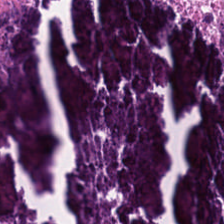Hematoxylin-and-eosin stained section; 0.5 microns per pixel. Showing necrotic debris.
